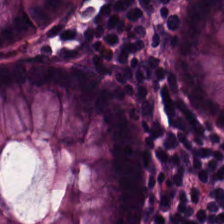{"tissue_type": "non-neoplastic colon mucosa"}
